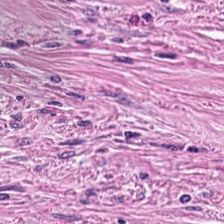H&E stain. 20× equivalent magnification. Formalin-fixed paraffin-embedded section — Cancer-associated stroma.
